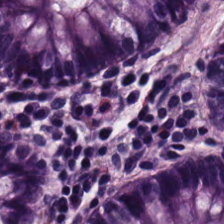Classification — non-neoplastic colon mucosa.
